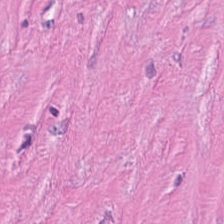224×224 pixel tile. H&E stain — Finding — desmoplastic stroma.
